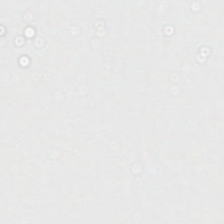Whole-slide-image patch; FFPE tissue section; hematoxylin-and-eosin stained section — Content — background.
